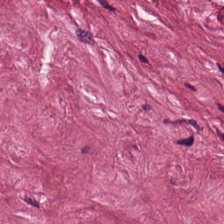H&E; 224×224 px tile; 0.5 µm per pixel — Impression → tumor-associated stroma.
